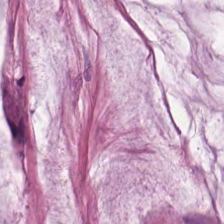H&E; 0.5 µm/px. Q: Classify this patch.
A: This is mucin.
